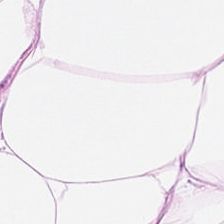Hematoxylin-and-eosin stained section — Predominant tissue = adipose.
